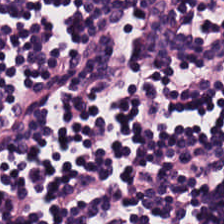Hematoxylin-and-eosin stained section — Tissue class: lymphocyte aggregate.
